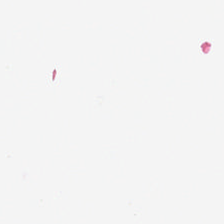Whole-slide-image patch · hematoxylin and eosin · 224×224 px patch — Q: What does this patch show?
A: Empty background.
